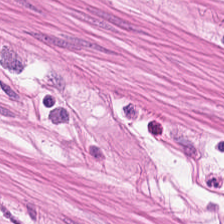H&E-stained tissue section — Tissue type: smooth muscle.
